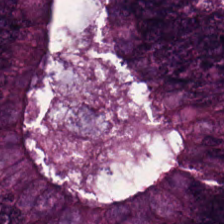Hematoxylin and eosin; FFPE; 224×224 pixel tile — {"tissue_type": "tumor epithelium"}
